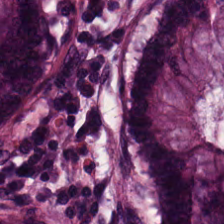Hematoxylin and eosin.
Q: What tissue is shown?
A: It is benign colonic mucosa.
